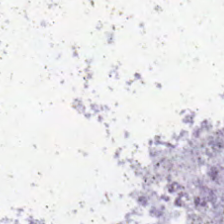Hematoxylin and eosin. The classification is background.
